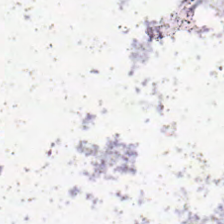H&E — Q: What is shown in this field?
A: The field shows background (no tissue).
